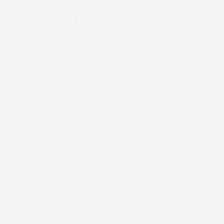H&E stain. Q: What is shown here?
A: It is empty background.
